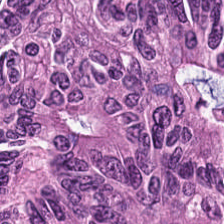Whole-slide-image patch · H&E — Tissue — tumor epithelium.
